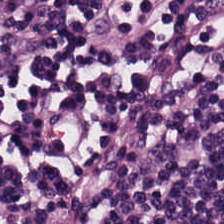H&E-stained tissue section. Brightfield microscopy.
Tissue class — lymphoid infiltrate.
